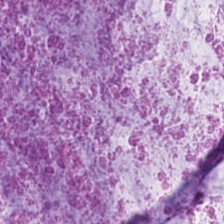224×224 px patch. H&E-stained tissue section. Q: What does this patch show?
A: It is mucin.
